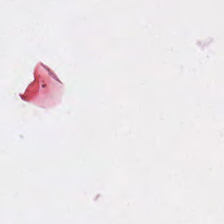Hematoxylin and eosin — Impression → empty background.
